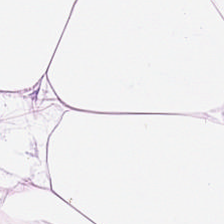20× equivalent magnification. H&E stain.
Predominant tissue = adipocytes.
